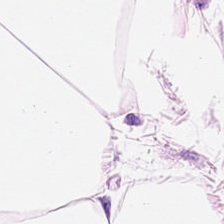Histology → adipose tissue.
